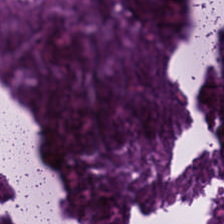H&E-stained tissue section — This field is necrotic debris.
